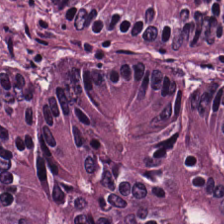Whole-slide-image patch · H&E stain — Q: What is the predominant tissue type?
A: It is colorectal adenocarcinoma epithelium.
